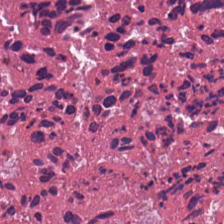Q: What is the predominant tissue type?
A: The field shows cellular debris.
